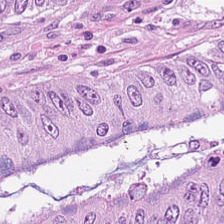Stain: H&E stain.
Preparation: formalin-fixed paraffin-embedded section.
Tissue type: colorectal adenocarcinoma epithelium.
